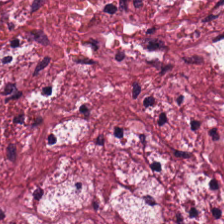H&E-stained section; the field shows tumor-associated stroma.
